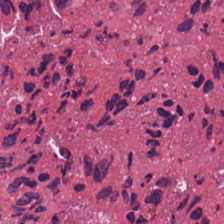FFPE · H&E-stained tissue section. Tissue = necrotic debris.
